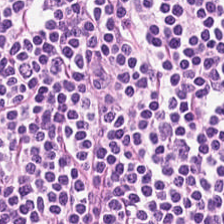Formalin-fixed paraffin-embedded section; brightfield microscopy; hematoxylin-and-eosin stained section — Q: What is shown here?
A: The field shows lymphocytes.
